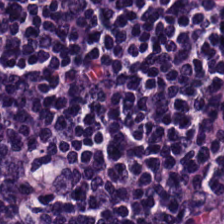Predominantly lymphocytes.
